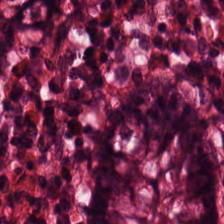Hematoxylin-and-eosin stained section.
Finding → non-neoplastic colon mucosa.
